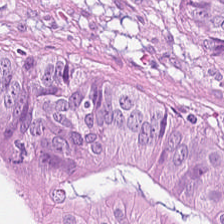Hematoxylin-and-eosin section: colorectal adenocarcinoma epithelium.
